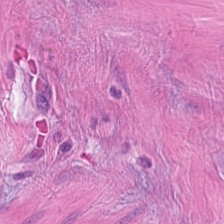Stain: hematoxylin-and-eosin stained section.
Resolution: 20× equivalent magnification.
Acquisition: brightfield.
Tissue: smooth muscle.
